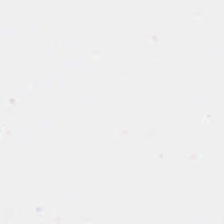Stain: H&E-stained tissue section.
Acquisition: brightfield.
Classification: background.
